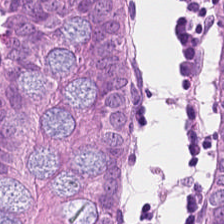Whole-slide-image patch; H&E-stained tissue section.
Tissue type = normal colon mucosa.
